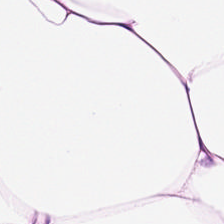Brightfield. H&E stain. 0.5 µm/px.
Classification — adipose.
